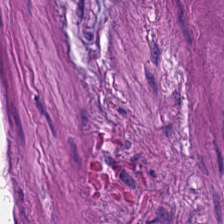Q: What is shown here?
A: Muscularis.
